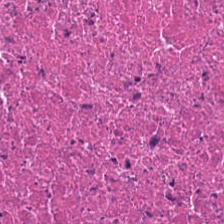Stain: H&E.
Preparation: formalin-fixed paraffin-embedded section.
Tile size: 224×224 px patch.
Tissue: debris.
